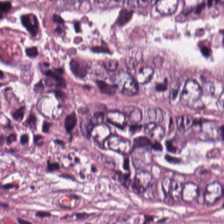FFPE · H&E. This patch shows tumor epithelium.
